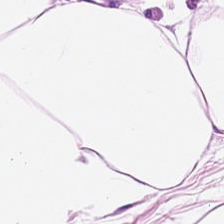Hematoxylin and eosin. Finding — adipose.
